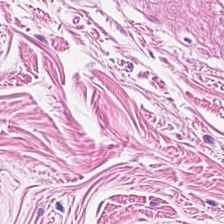H&E-stained tissue section. The tissue class is smooth muscle.
